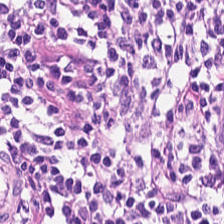H&E. Q: Classify this patch.
A: Lymphoid infiltrate.
